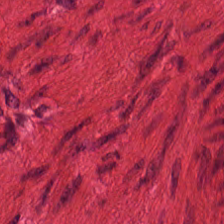Whole-slide-image patch. H&E. Impression → smooth muscle.
